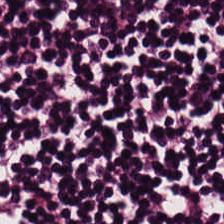H&E-stained tissue section · 20× equivalent magnification. Histology → lymphocytic infiltrate.
